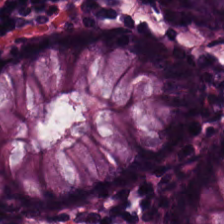Classification: non-neoplastic colon mucosa.
